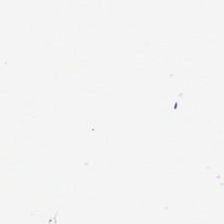Empty field — empty background.
